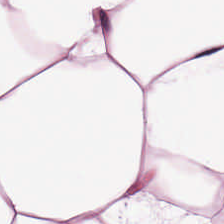Hematoxylin-and-eosin stained section. Predominantly fat tissue.
